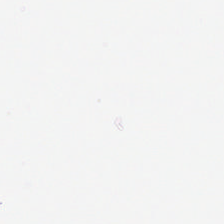Field content — background.
